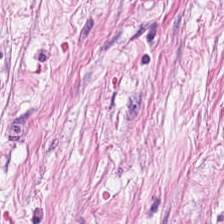224×224 px tile · H&E-stained tissue section · formalin-fixed paraffin-embedded section — Q: What does this patch show?
A: Cancer-associated stroma.
